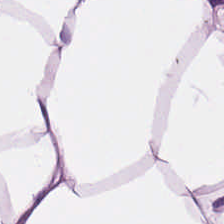Stain: H&E stain.
Resolution: 0.5 µm/px.
Tissue type: adipose.
